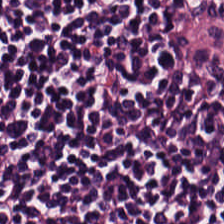H&E-stained tissue section · 0.5 microns per pixel. Q: What is shown in this field?
A: The field shows lymphoid infiltrate.
